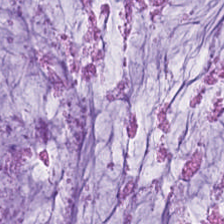Showing extracellular mucin.
